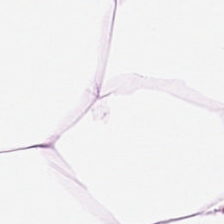Stain: H&E.
Preparation: FFPE tissue section.
Acquisition: brightfield.
Tissue class: fat tissue.
